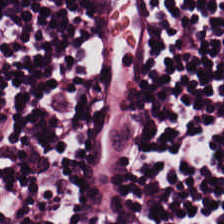224×224 pixel tile · H&E. Predominant tissue: lymphocytic infiltrate.
